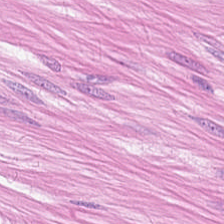H&E-stained tissue section. Q: Identify the tissue.
A: The field shows muscularis.
